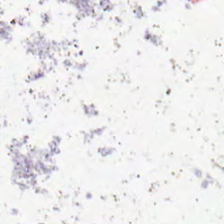H&E-stained tissue section; 0.5 microns per pixel. Classification: background.
